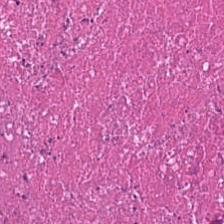Hematoxylin-and-eosin stained section. Formalin-fixed paraffin-embedded section. The predominant tissue is necrotic debris.
